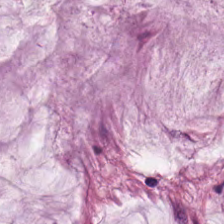Impression — mucus.
